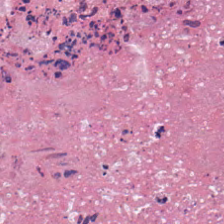Stain: hematoxylin and eosin.
Preparation: FFPE tissue section.
Tissue: debris.
